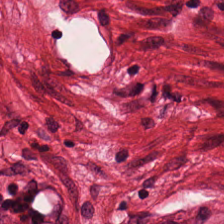0.5 microns per pixel · H&E-stained tissue section · FFPE tissue section.
The tissue is muscularis.
